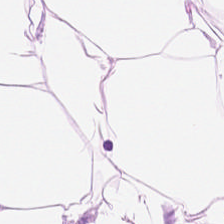H&E. 224×224 px tile. Whole-slide-image patch — Q: What tissue type is shown here?
A: This is adipose.
